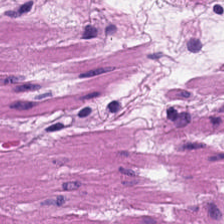Hematoxylin and eosin.
Q: Identify the tissue.
A: This is muscularis.
